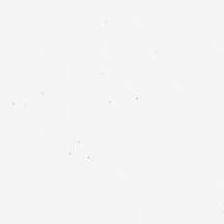Q: What does this patch show?
A: The field shows no tissue.
